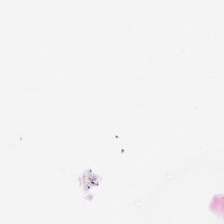H&E stain.
Content: background.
